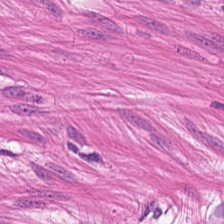Hematoxylin and eosin — Histology → smooth muscle.
